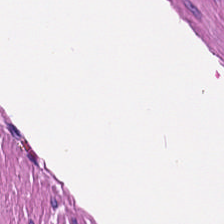Hematoxylin and eosin. Finding — muscularis.
